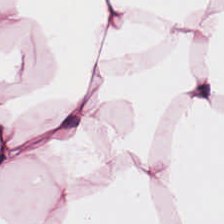Brightfield. H&E. Fat tissue.
